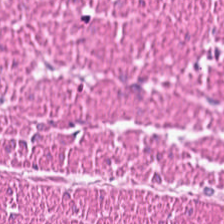FFPE tissue section; H&E stain.
Predominant tissue = smooth-muscle tissue.
